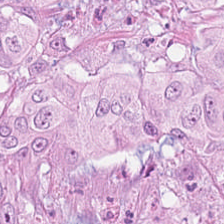Hematoxylin-and-eosin stained section.
Tissue: adenocarcinoma.
